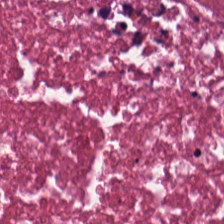Hematoxylin and eosin.
Histology — cellular debris.
